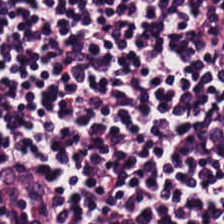H&E-stained tissue section — Predominant tissue — lymphoid infiltrate.
